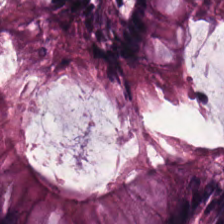Hematoxylin-and-eosin section: benign colonic mucosa.
